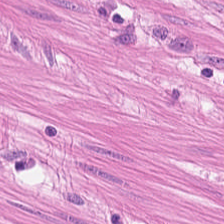Hematoxylin-and-eosin stained section. The tissue here is smooth muscle.
